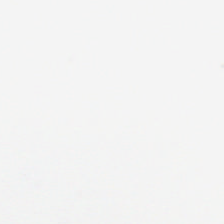Empty field — background.
